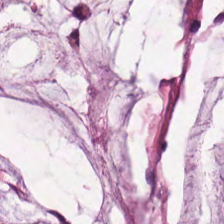Q: What is shown in this field?
A: The field shows mucin.
